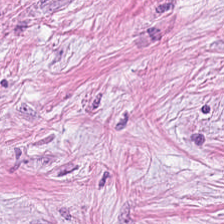Hematoxylin-and-eosin section: desmoplastic stroma.
